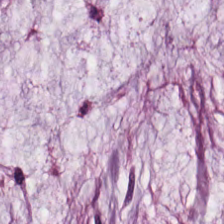H&E. Formalin-fixed paraffin-embedded section. The tissue here is mucus.
